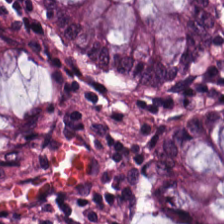Q: What does this patch show?
A: It is normal colon mucosa.
